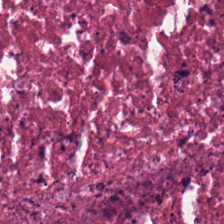The predominant tissue is debris.
